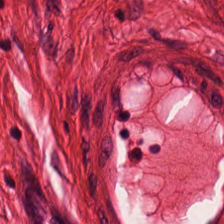H&E. 0.5 µm/px. This patch shows smooth-muscle tissue.
